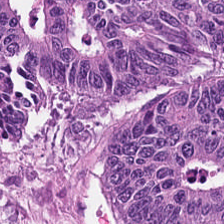Hematoxylin and eosin.
Finding — tumor epithelium.
